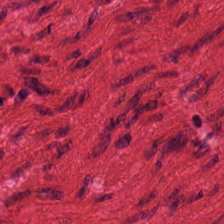224×224 px patch · WSI patch · hematoxylin and eosin.
Smooth-muscle tissue.
